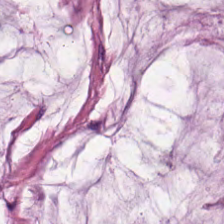Histology → extracellular mucin.
